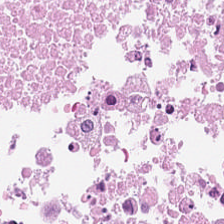This field is necrotic debris.
